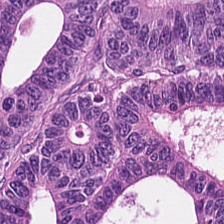Tissue — colorectal adenocarcinoma.
